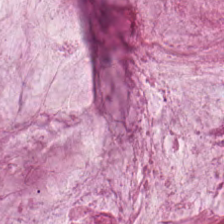Hematoxylin-and-eosin stained section; 224×224 px patch. Tissue class — mucus.
